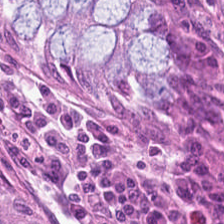H&E. 224×224 px patch. Tissue type — benign colonic mucosa.
